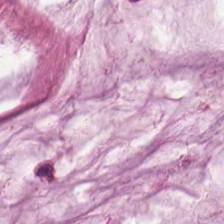Stain: H&E stain.
Classification: mucus.
